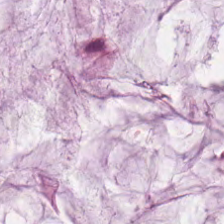H&E-stained tissue section showing mucus.
